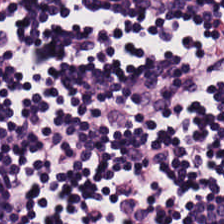Histology — lymphocyte aggregate.
